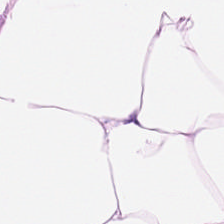Stain: hematoxylin and eosin.
Predominant tissue: adipose.
